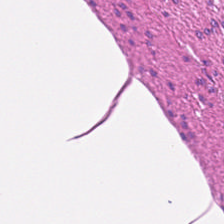H&E stain · 0.5 µm/px — The predominant tissue is muscularis.
